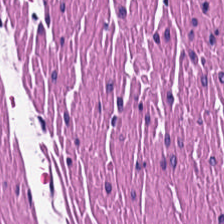WSI patch; hematoxylin-and-eosin stained section — Predominant tissue = smooth-muscle tissue.
